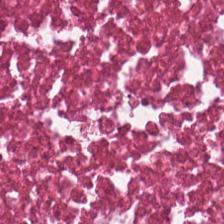The tissue type is necrotic debris.
